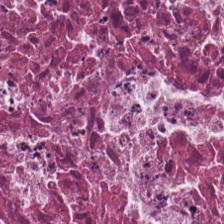H&E stain — The tissue here is debris.
